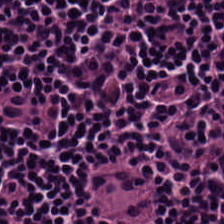Q: What tissue type is shown here?
A: It is lymphoid infiltrate.
